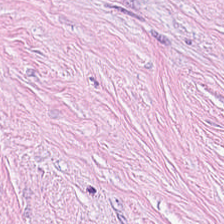H&E stain. Predominant tissue = tumor stroma.
